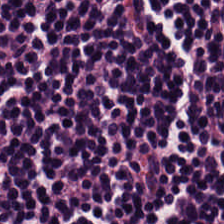Stain: hematoxylin-and-eosin stained section.
Classification: lymphocyte aggregate.
